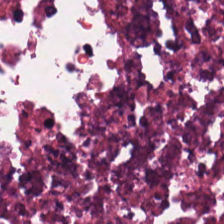Stain: H&E-stained tissue section.
Acquisition: brightfield microscopy.
Resolution: 0.5 microns per pixel.
Tissue: necrotic debris.
